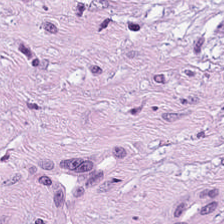Hematoxylin-and-eosin stained section. The predominant tissue is desmoplastic stroma.
